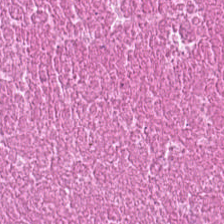H&E stain — Tissue type: debris.
